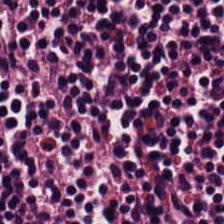Hematoxylin-and-eosin stained section — Finding — lymphocyte aggregate.
